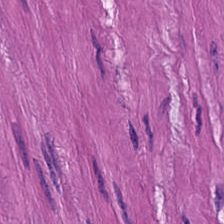Hematoxylin-and-eosin stained section — Smooth-muscle tissue.
